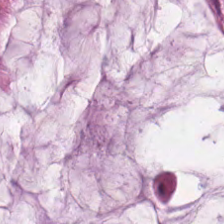Q: What is the predominant tissue type?
A: It is mucus.
